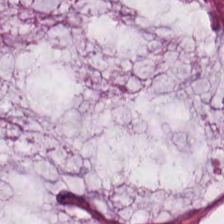H&E stain. The classification is mucus.
